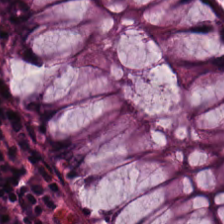H&E-stained tissue section. 20× equivalent magnification. The tissue type is normal colonic mucosa.
